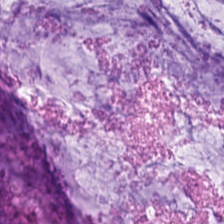The predominant tissue is extracellular mucin.
